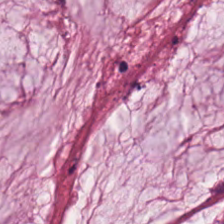H&E stain. Q: What tissue type is shown here?
A: Mucin.
